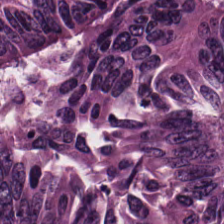Stain: hematoxylin and eosin.
Tissue class: adenocarcinoma.
